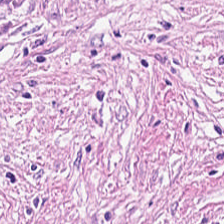H&E-stained tissue section. The tissue here is tumor-associated stroma.
